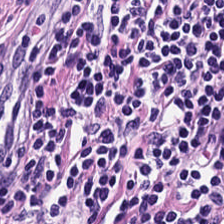Q: Classify this patch.
A: The field shows lymphoid infiltrate.
